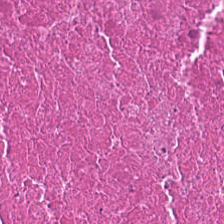H&E-stained tissue section.
Impression — cellular debris.
